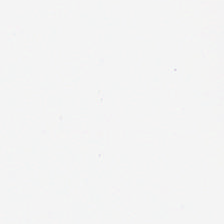Hematoxylin-and-eosin stained section. Content: empty background.
